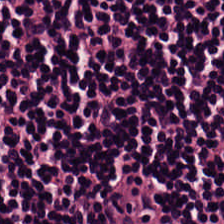0.5 µm per pixel. Hematoxylin and eosin. Formalin-fixed paraffin-embedded section. Histology — lymphocytic infiltrate.
